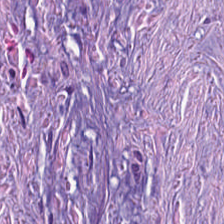FFPE tissue section; H&E stain — The predominant tissue is tumor-associated stroma.
